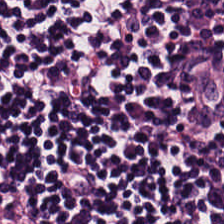Hematoxylin and eosin — The tissue here is lymphoid infiltrate.
